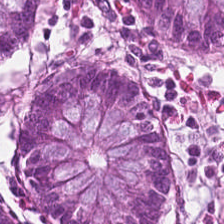Hematoxylin-and-eosin stained section; brightfield microscopy. Classification: non-neoplastic colon mucosa.
